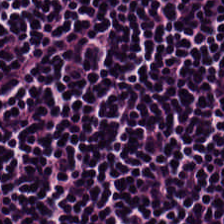Formalin-fixed paraffin-embedded section; H&E stain. Q: Classify this patch.
A: This is lymphocyte aggregate.
